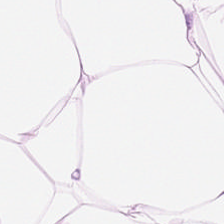Stain: hematoxylin-and-eosin stained section.
Acquisition: WSI patch.
Tile size: 224×224 pixel tile.
Tissue type: adipose.
